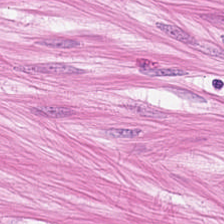Predominant tissue — smooth-muscle tissue.
